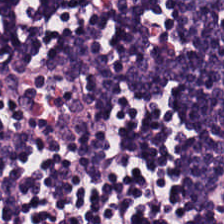Q: Classify this patch.
A: The field shows lymphocyte aggregate.
